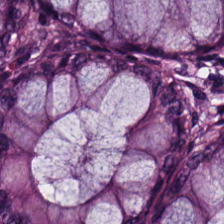0.5 microns per pixel · H&E stain · FFPE tissue section.
Q: What is shown in this field?
A: The field shows normal colonic mucosa.
